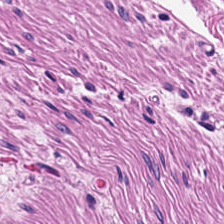Hematoxylin-and-eosin stained section; 0.5 µm/px — {"tissue_type": "smooth-muscle tissue"}
